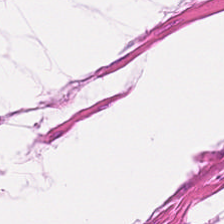The tissue is muscularis.
